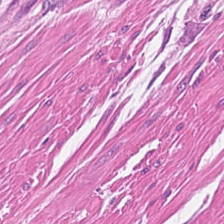0.5 µm per pixel; H&E-stained tissue section. This field is smooth muscle.
